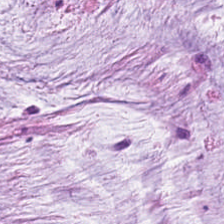Stain: hematoxylin-and-eosin stained section.
Predominant tissue: mucin.
